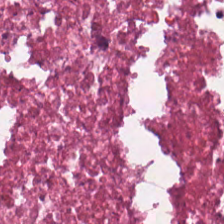Predominantly cellular debris.
